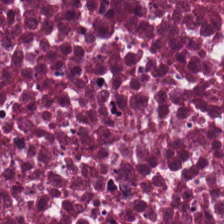0.5 microns per pixel · H&E stain. The tissue here is cellular debris.
